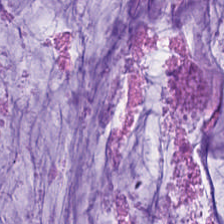H&E-stained section; the field shows mucin.
